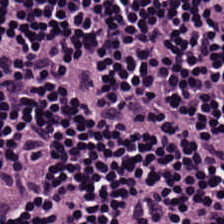Classification — lymphocytes.
